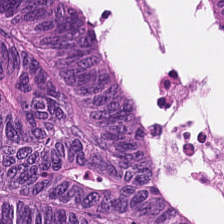H&E. Finding — adenocarcinoma.
